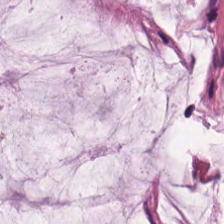Mucus.
